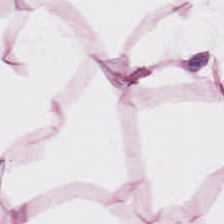Hematoxylin-and-eosin stained section; 224×224 pixel tile.
Predominantly fat tissue.
